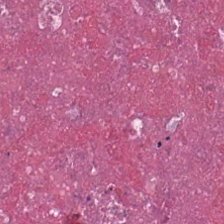224×224 pixel tile; H&E-stained tissue section; whole-slide-image patch. The predominant tissue is necrotic debris.
